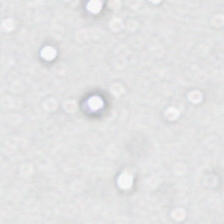Field content: background (no tissue).
